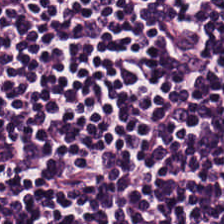H&E.
Predominantly lymphocytic infiltrate.
